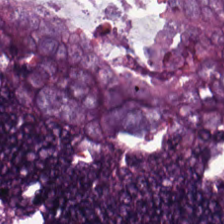H&E-stained tissue section. 20× equivalent magnification. 224×224 px tile.
Tumor epithelium.
